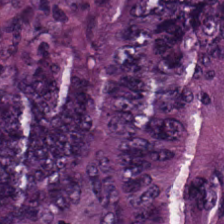Stain: H&E stain.
Tissue: malignant epithelium.
